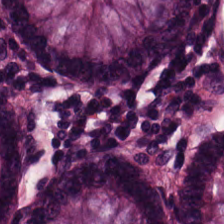224×224 px patch. H&E — Finding → normal colon mucosa.
